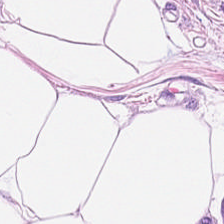Whole-slide-image patch. H&E stain. 20× equivalent magnification. {"tissue_type": "fat tissue"}
